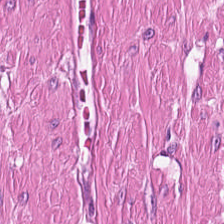H&E stain. Predominantly smooth-muscle tissue.
